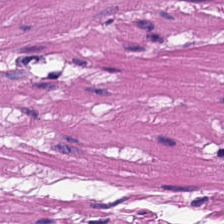H&E stain. Showing muscularis.
